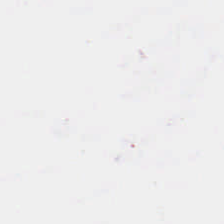H&E-stained tissue section — Q: What is shown here?
A: The field shows background.
